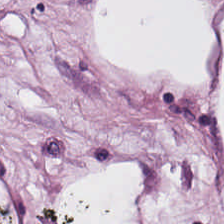Formalin-fixed paraffin-embedded section; hematoxylin and eosin; 224×224 px patch. Impression → adipose.
